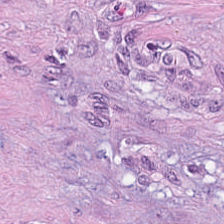H&E. Impression — tumor stroma.
